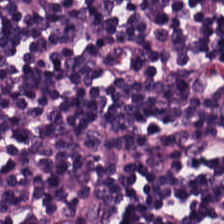Brightfield microscopy · FFPE tissue section · hematoxylin and eosin. Histology → lymphocyte aggregate.
